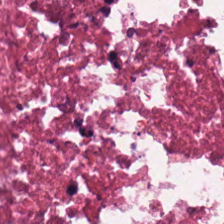0.5 µm per pixel; H&E-stained tissue section.
This field is cellular debris.
